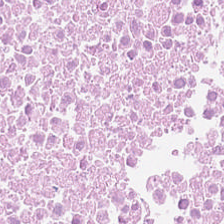H&E stain. Tissue = cellular debris.
